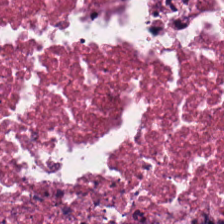FFPE tissue section. H&E-stained tissue section. 0.5 microns per pixel. The tissue here is necrotic debris.
